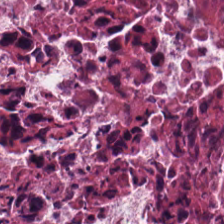Tissue type — cellular debris.
